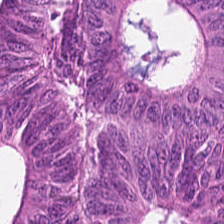Hematoxylin-and-eosin stained section.
{"tissue_type": "colorectal adenocarcinoma"}
